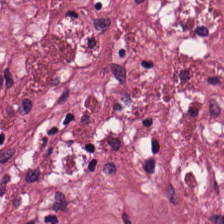Hematoxylin-and-eosin stained section.
Q: Classify this patch.
A: The field shows tumor stroma.
